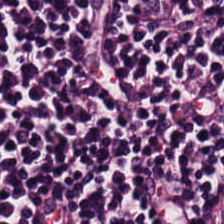Q: What is shown in this field?
A: It is lymphocytic infiltrate.
